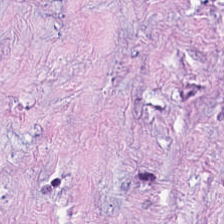Hematoxylin-and-eosin section: desmoplastic stroma.
